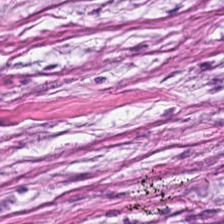Tissue — cancer-associated stroma.
